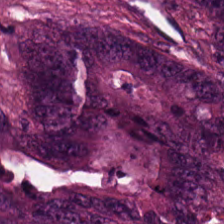H&E; 0.5 microns per pixel — The tissue is malignant epithelium.
